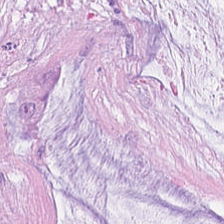Hematoxylin-and-eosin stained section · WSI patch · 224×224 px tile. Tissue = mucin.
